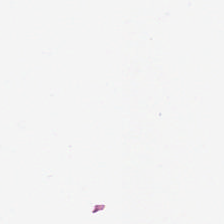Hematoxylin and eosin · FFPE. Impression — no tissue.
